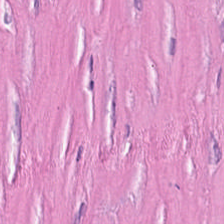Hematoxylin and eosin. Classification = desmoplastic stroma.
